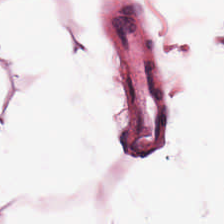H&E stain.
Tissue — adipocytes.
